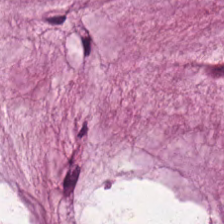H&E-stained tissue section; 0.5 µm/px.
Tissue class — mucin.
